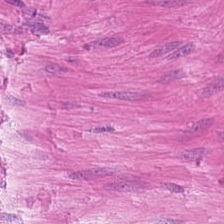Stain: H&E stain.
Tile size: 224×224 pixel tile.
Acquisition: WSI patch.
Tissue type: smooth muscle.
